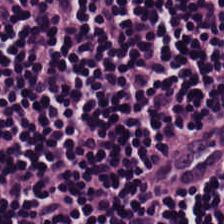Stain: H&E.
Classification: lymphocyte aggregate.
